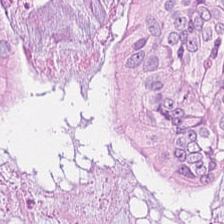20× equivalent magnification; hematoxylin-and-eosin stained section. {"tissue_type": "malignant epithelium"}
